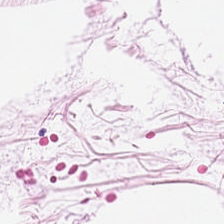H&E — The tissue type is adipose tissue.
